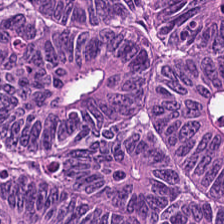Stain: H&E.
Predominant tissue: colorectal adenocarcinoma epithelium.
